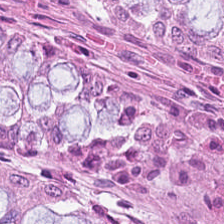Formalin-fixed paraffin-embedded section; 224×224 px patch; H&E-stained tissue section.
Showing normal colon mucosa.
